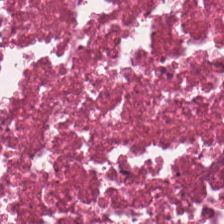H&E. Tissue type — necrotic debris.
